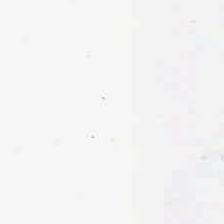Hematoxylin and eosin — {"content": "background"}
